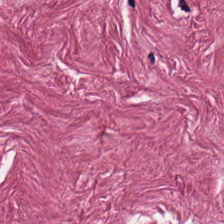Stain: hematoxylin and eosin.
Acquisition: brightfield microscopy.
Tissue: cancer-associated stroma.
